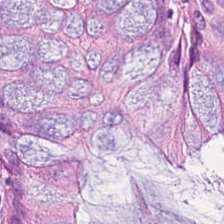224×224 px tile. H&E stain. Classification = benign colonic mucosa.
